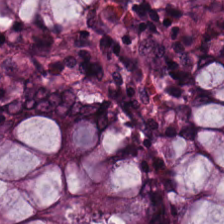H&E-stained tissue section · 0.5 µm/px. Predominantly non-neoplastic colon mucosa.
